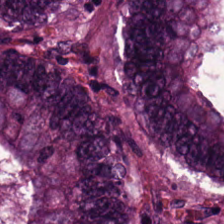H&E-stained tissue section — Q: What is the predominant tissue type?
A: It is malignant epithelium.
